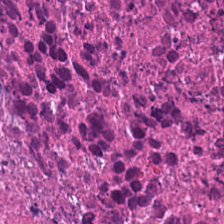Hematoxylin-and-eosin stained section. The tissue here is necrotic debris.
